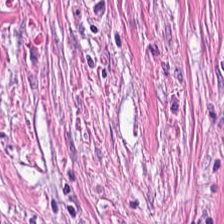Hematoxylin-and-eosin stained section.
The tissue type is tumor-associated stroma.
